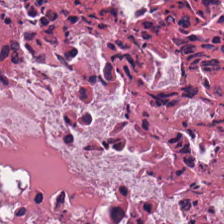H&E-stained tissue section. Predominant tissue — cellular debris.
